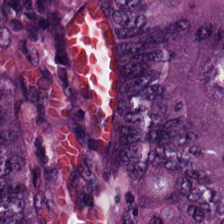H&E-stained tissue section.
Classification: malignant epithelium.
